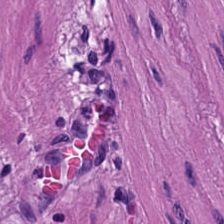WSI patch; H&E.
This patch shows muscularis.
